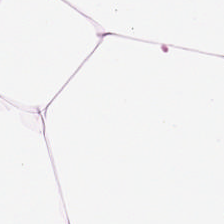Hematoxylin and eosin.
Tissue class — adipose tissue.
